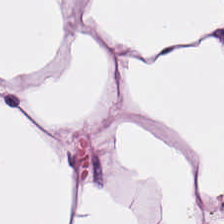20× equivalent magnification. H&E stain. Q: What does this patch show?
A: The field shows adipocytes.
